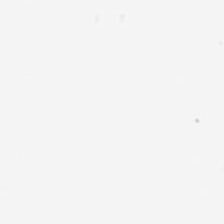H&E-stained tissue section. Q: What does this patch show?
A: The field shows empty background.
